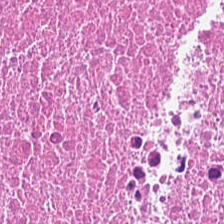FFPE; hematoxylin-and-eosin stained section.
Necrotic debris.
